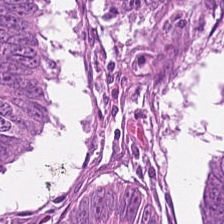Hematoxylin-and-eosin stained section.
Q: What type of tissue is this?
A: This is tumor epithelium.
